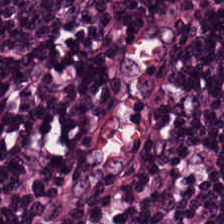Hematoxylin-and-eosin stained section — Q: Classify this patch.
A: Lymphoid infiltrate.
